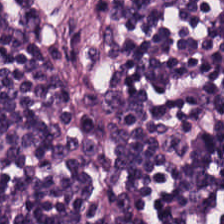H&E.
Predominant tissue: lymphocytes.
